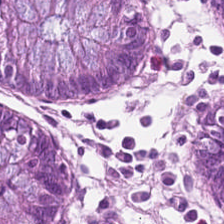H&E-stained tissue section.
The classification is normal colonic mucosa.
